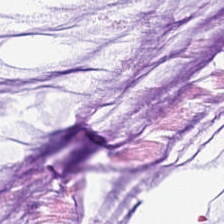The predominant tissue is mucus.
